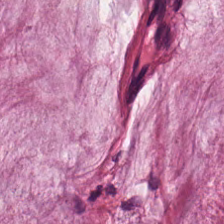Brightfield · H&E — {"tissue_type": "mucus"}
